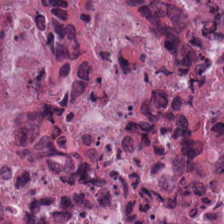Hematoxylin-and-eosin stained section · brightfield microscopy.
Tissue class — cellular debris.
